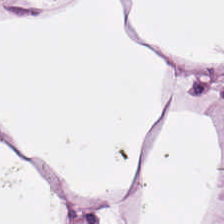H&E stain — Adipocytes.
